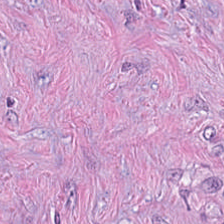H&E. FFPE.
Q: What does this patch show?
A: This is tumor-associated stroma.
